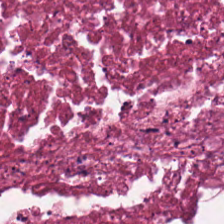Hematoxylin-and-eosin stained section.
The classification is debris.
